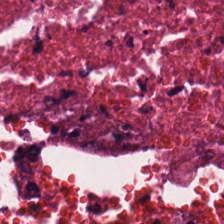{"tissue_type": "necrotic debris"}
